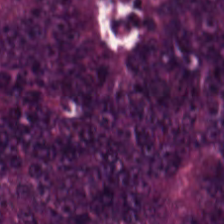Hematoxylin and eosin — Classification = colorectal adenocarcinoma.
